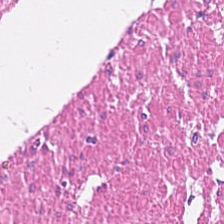Hematoxylin and eosin; FFPE. Showing smooth-muscle tissue.
